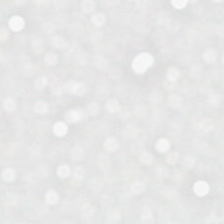H&E stain. Q: What is shown here?
A: No tissue.
